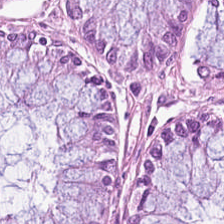H&E stain; 224×224 px patch — Predominantly non-neoplastic colon mucosa.
